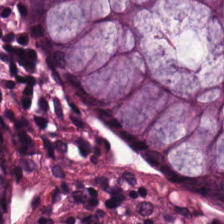0.5 microns per pixel; H&E. Q: What is the predominant tissue type?
A: This is normal colon mucosa.
